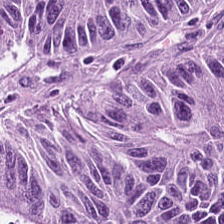Hematoxylin and eosin.
This patch shows malignant epithelium.
